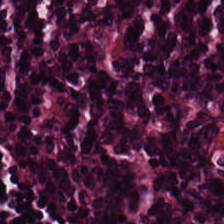Lymphocyte aggregate.
